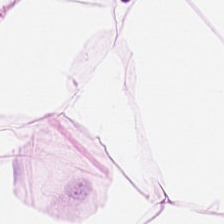Q: What is shown in this field?
A: This is adipose tissue.
